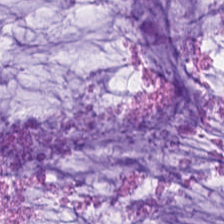H&E — The tissue here is mucin.
